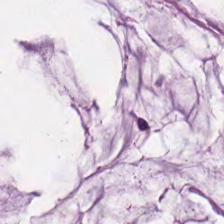Tissue = extracellular mucin.
